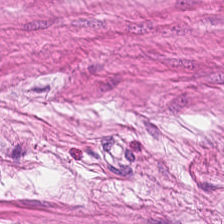Impression → muscularis.
